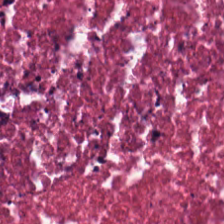Hematoxylin and eosin — This field is debris.
